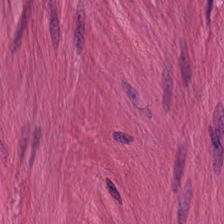Stain: H&E.
Predominant tissue: smooth-muscle tissue.
